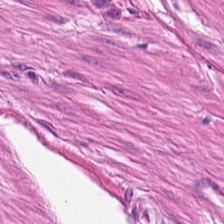224×224 px patch. FFPE tissue section. Hematoxylin and eosin — {"tissue_type": "smooth-muscle tissue"}
